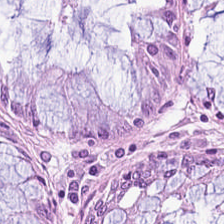Hematoxylin-and-eosin stained section — Tissue type: benign colonic mucosa.
